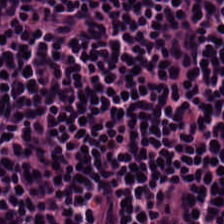H&E — Q: Classify this patch.
A: It is lymphoid infiltrate.
